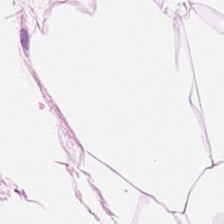Hematoxylin-and-eosin stained section. Q: What type of tissue is this?
A: The field shows adipose tissue.
